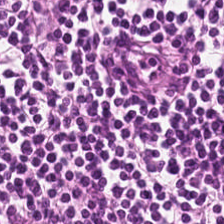224×224 pixel tile. H&E stain. 0.5 µm per pixel. Tissue class — lymphoid infiltrate.
